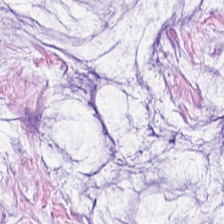Stain: hematoxylin and eosin.
Predominant tissue: mucin.
